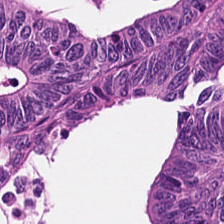Hematoxylin and eosin.
Predominantly tumor epithelium.
